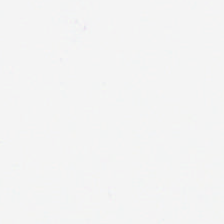Hematoxylin-and-eosin stained section.
Finding — empty background.
